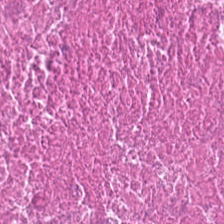{"tissue_type": "debris"}
